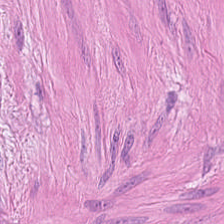Smooth muscle.
